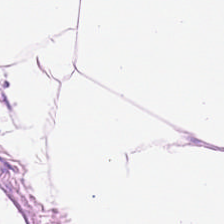H&E stain · 0.5 microns per pixel. The predominant tissue is fat tissue.
